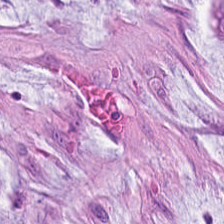WSI patch · H&E-stained tissue section.
Impression — mucus.
